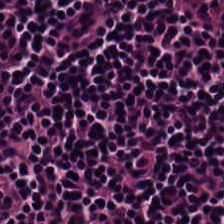H&E-stained tissue section — Histology → lymphocytic infiltrate.
